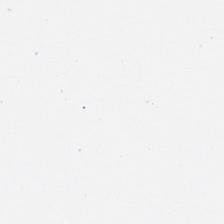Hematoxylin and eosin.
Finding — empty background.
